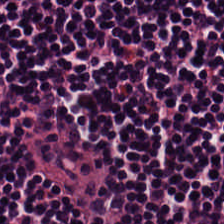H&E.
Histology → lymphocytes.
